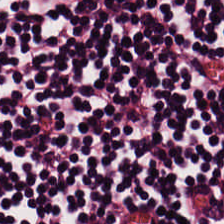H&E stain — Classification: lymphoid infiltrate.
